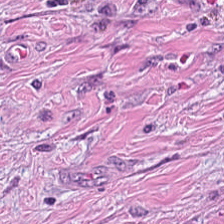Hematoxylin-and-eosin stained section. Q: What type of tissue is this?
A: It is desmoplastic stroma.
